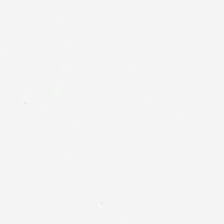H&E-stained tissue section · WSI patch · 224×224 px tile. Content — no tissue.
